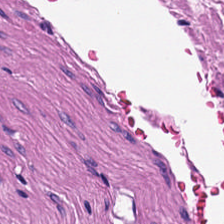H&E stain. Brightfield. FFPE — Predominant tissue = smooth muscle.
